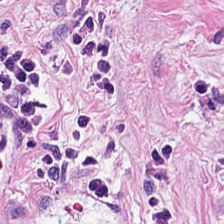Q: What is shown in this field?
A: The field shows tumor-associated stroma.
